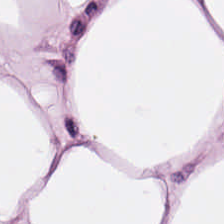0.5 µm per pixel; H&E-stained tissue section; 224×224 px patch. Q: What is shown in this field?
A: This is adipose tissue.
